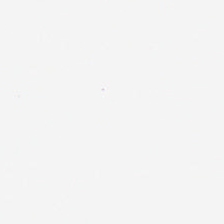0.5 µm per pixel · H&E stain — No tissue present; background only.
